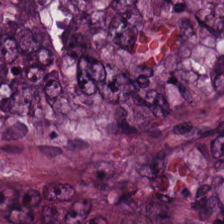224×224 px patch. H&E stain. Malignant epithelium.
